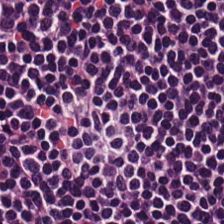Showing lymphocytes.
